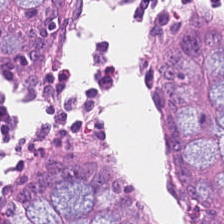H&E-stained tissue section. This patch shows normal colon mucosa.
